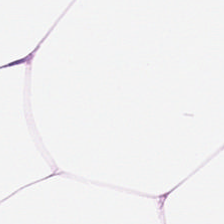H&E-stained section; the field shows adipose.
